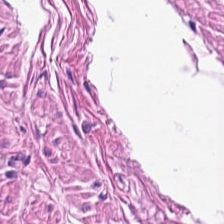Hematoxylin and eosin — Histology — smooth-muscle tissue.
